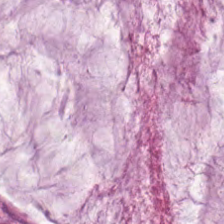224×224 pixel tile · whole-slide-image patch · H&E.
Impression — extracellular mucin.
